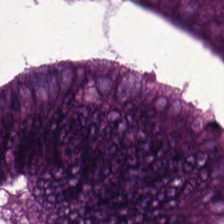FFPE tissue section. H&E.
Showing colorectal adenocarcinoma.
